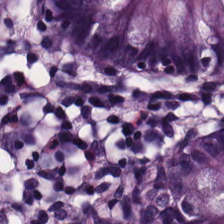This patch shows normal colonic mucosa.
